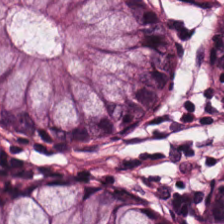This patch shows normal colonic mucosa.
